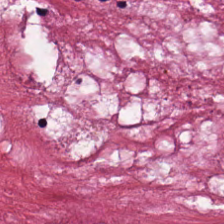FFPE tissue section. Hematoxylin and eosin. Brightfield microscopy. Classification — tumor stroma.
